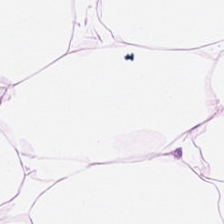H&E-stained tissue section. Brightfield. Finding — adipose.
